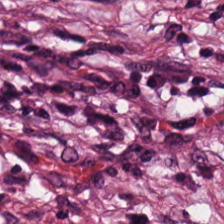H&E stain · 0.5 µm per pixel · WSI patch.
This patch shows cancer-associated stroma.
